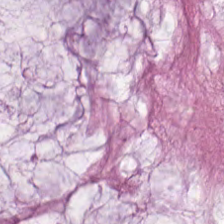H&E stain — Q: What tissue type is shown here?
A: The field shows extracellular mucin.
